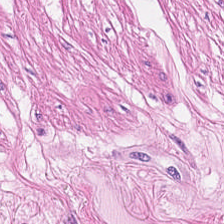Hematoxylin-and-eosin stained section · FFPE · 0.5 µm per pixel — Finding — smooth muscle.
